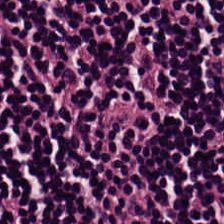H&E-stained tissue section — This field is lymphocytic infiltrate.
